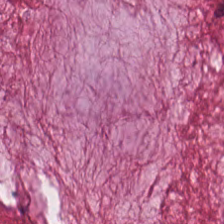H&E stain — Q: What tissue is shown?
A: The field shows mucus.
